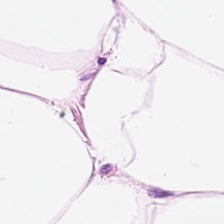Showing adipose tissue.
